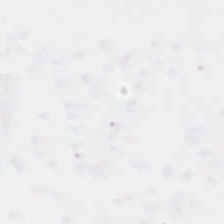Impression — background (no tissue).
